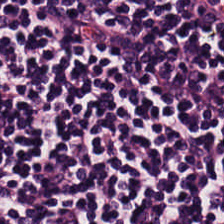H&E stain · formalin-fixed paraffin-embedded section.
Histology → lymphoid infiltrate.
